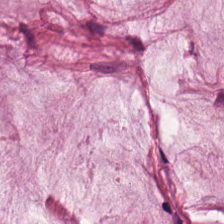H&E-stained tissue section; formalin-fixed paraffin-embedded section — {"tissue_type": "mucus"}
